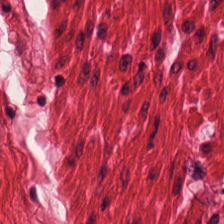Stain: H&E stain.
Tissue: smooth muscle.
